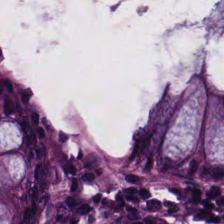H&E stain — Q: What is the predominant tissue type?
A: Normal colonic mucosa.
